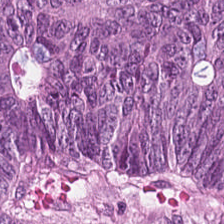H&E-stained tissue section.
The predominant tissue is colorectal adenocarcinoma.
